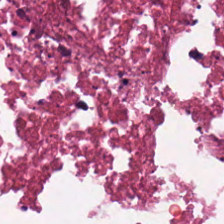0.5 µm per pixel. Formalin-fixed paraffin-embedded section. H&E-stained tissue section.
Classification — necrotic debris.
